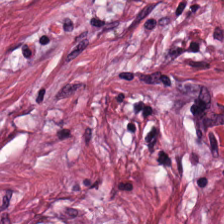H&E stain.
The tissue here is desmoplastic stroma.
